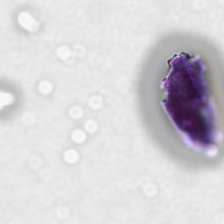H&E stain — Empty background.
